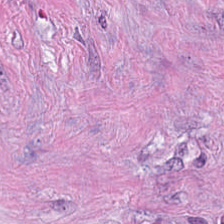Hematoxylin-and-eosin stained section. Predominant tissue — cancer-associated stroma.
